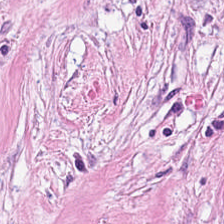FFPE; hematoxylin-and-eosin stained section — The predominant tissue is cancer-associated stroma.
